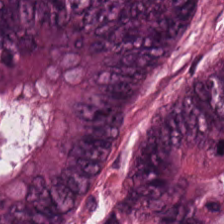H&E. Whole-slide-image patch. 0.5 µm per pixel.
Histology → mucin.
